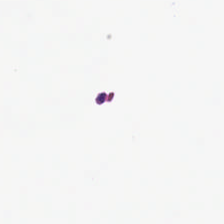Hematoxylin-and-eosin stained section. Q: What does this patch show?
A: The field shows background.
